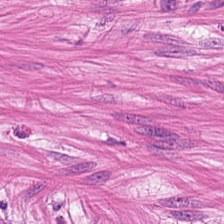H&E stain. Showing muscularis.
